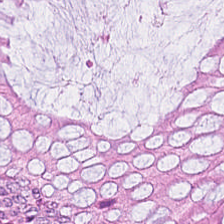Stain: hematoxylin and eosin.
Preparation: FFPE tissue section.
Acquisition: WSI patch.
Predominant tissue: non-neoplastic colon mucosa.
